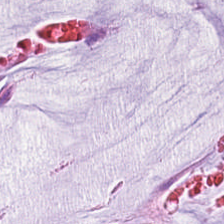H&E-stained section; the field shows mucus.
